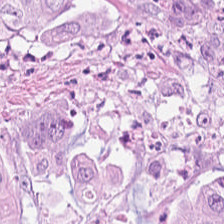H&E — The tissue here is adenocarcinoma.
